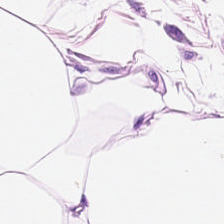H&E — Impression → adipocytes.
